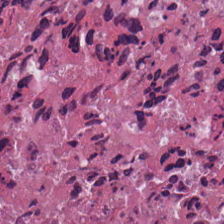H&E-stained tissue section — Cellular debris.
